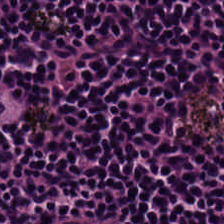The tissue is lymphocytic infiltrate.
